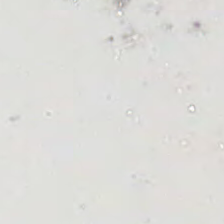Brightfield; 224×224 pixel tile; H&E. No tissue present; background only.
